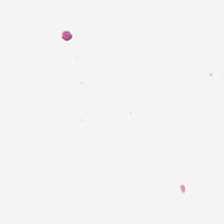Stain: H&E.
Preparation: formalin-fixed paraffin-embedded section.
Tile size: 224×224 pixel tile.
Field content: empty background.
